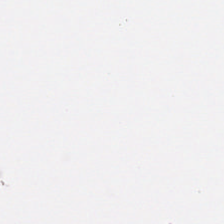Finding — empty background.
